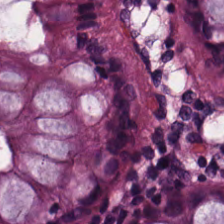The predominant tissue is normal colonic mucosa.
